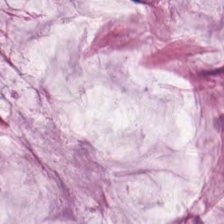Stain: H&E.
Preparation: FFPE tissue section.
Classification: extracellular mucin.
